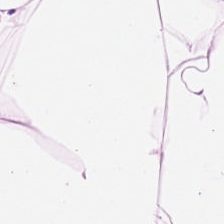Hematoxylin-and-eosin section: adipocytes.
